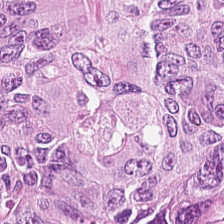H&E — The tissue here is tumor epithelium.
